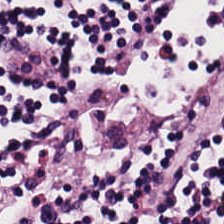H&E-stained tissue section · formalin-fixed paraffin-embedded section.
The tissue here is lymphoid infiltrate.
